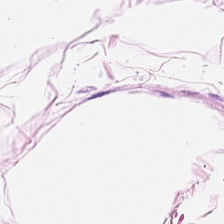Impression → adipocytes.
